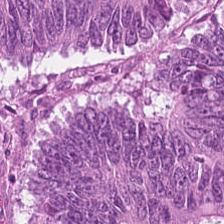Predominantly malignant epithelium.
